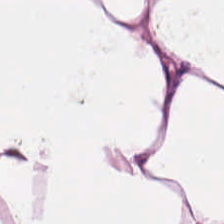Stain: hematoxylin and eosin.
Preparation: FFPE.
Tissue: adipocytes.
